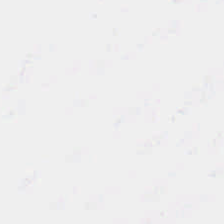The classification is no tissue.
